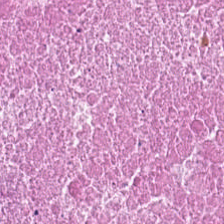H&E stain. 224×224 pixel tile. Brightfield microscopy.
Q: What tissue is shown?
A: This is cellular debris.
